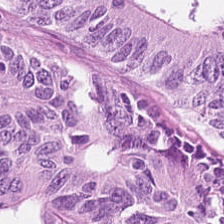Formalin-fixed paraffin-embedded section. Hematoxylin and eosin. Whole-slide-image patch — Tumor epithelium.
